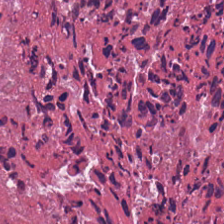Hematoxylin and eosin — Predominantly debris.
